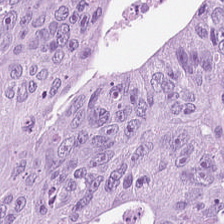This patch shows colorectal adenocarcinoma epithelium.
